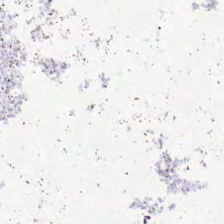Stain: H&E stain.
Field content: no tissue.
